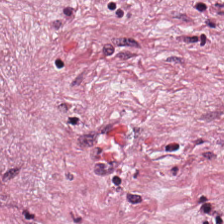Hematoxylin-and-eosin stained section.
This patch shows cancer-associated stroma.
